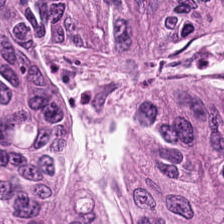Hematoxylin-and-eosin stained section. 20× equivalent magnification. 224×224 px tile — This field is colorectal adenocarcinoma epithelium.
